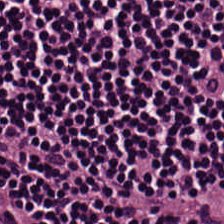0.5 µm per pixel; hematoxylin and eosin — Histology → lymphoid infiltrate.
